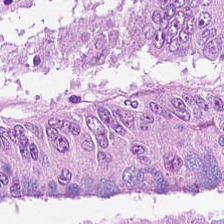Hematoxylin and eosin; WSI patch.
Impression → colorectal adenocarcinoma epithelium.
